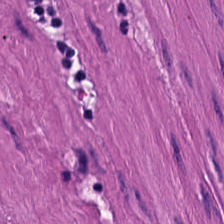H&E; 20× equivalent magnification — Q: Classify this patch.
A: Smooth muscle.
